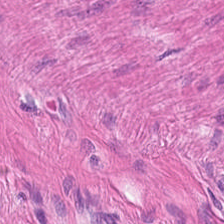Hematoxylin-and-eosin stained section. {"tissue_type": "muscularis"}
